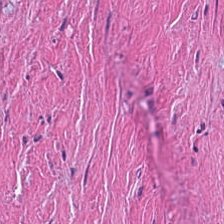H&E-stained tissue section · 224×224 pixel tile.
Q: What is the predominant tissue type?
A: The field shows cellular debris.
